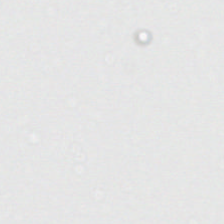224×224 px tile · formalin-fixed paraffin-embedded section · hematoxylin and eosin — Q: What is shown in this field?
A: It is empty background.
